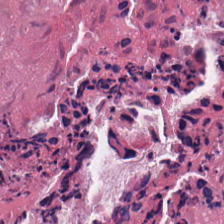FFPE tissue section. H&E-stained tissue section.
Tissue type — necrotic debris.
